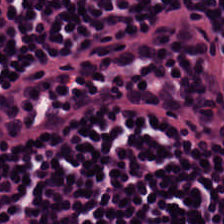Stain: H&E.
Tissue class: lymphocytic infiltrate.
